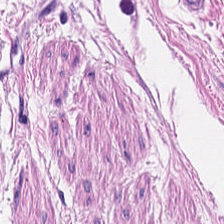H&E.
{"tissue_type": "smooth muscle"}
